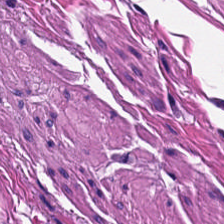H&E.
Q: What is shown here?
A: It is smooth-muscle tissue.
